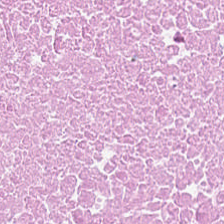Predominant tissue: debris.
